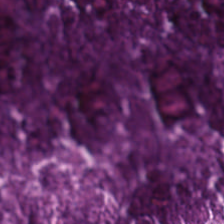Hematoxylin and eosin — Q: What is the predominant tissue type?
A: This is debris.
